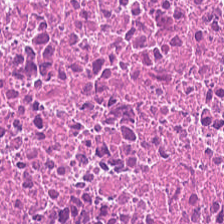H&E-stained tissue section · 224×224 px patch. The predominant tissue is debris.
